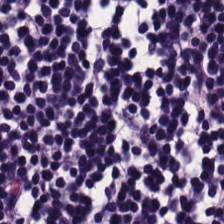0.5 µm per pixel; H&E-stained tissue section; 224×224 pixel tile — Q: What does this patch show?
A: This is lymphoid infiltrate.
